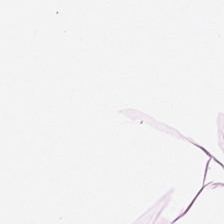Hematoxylin-and-eosin stained section — Tissue class — adipose tissue.
